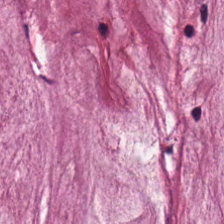Finding → mucus.
